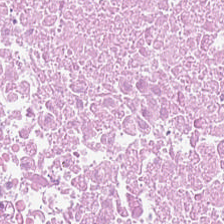Stain: H&E.
Acquisition: brightfield.
Tissue: debris.
